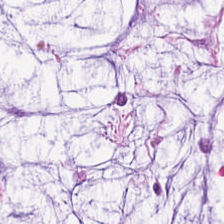20× equivalent magnification. H&E stain.
Predominantly mucus.
